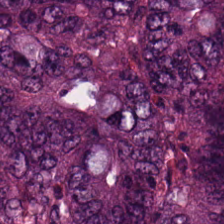H&E. Tissue — malignant epithelium.
